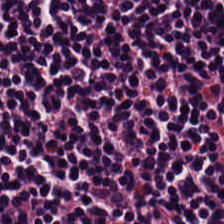H&E.
Q: What is shown in this field?
A: The field shows lymphocytic infiltrate.
